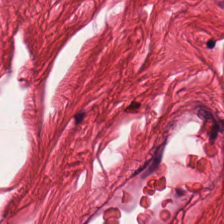H&E stain; WSI patch. This field is smooth-muscle tissue.
